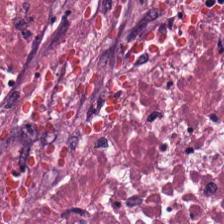Hematoxylin and eosin — The classification is debris.
